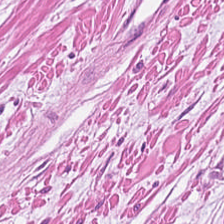20× equivalent magnification; H&E; WSI patch — Impression → smooth-muscle tissue.
